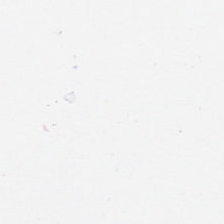H&E-stained tissue section.
Histology — background (no tissue).
